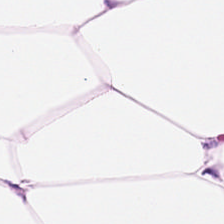H&E stain. Brightfield microscopy. Q: What tissue type is shown here?
A: Adipocytes.
